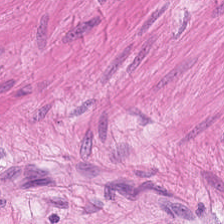H&E stain.
This field is muscularis.
